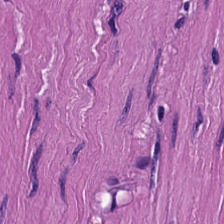0.5 µm per pixel · brightfield · H&E — Tissue — smooth-muscle tissue.
